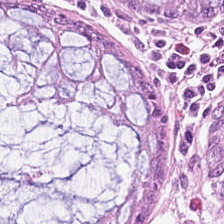Finding — non-neoplastic colon mucosa.
